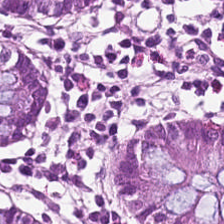H&E stain.
Tissue type = benign colonic mucosa.
